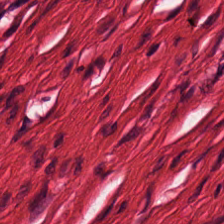Brightfield microscopy. H&E-stained tissue section. 224×224 px patch — Showing muscularis.
